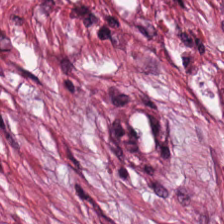Hematoxylin-and-eosin stained section.
Q: What is shown here?
A: It is tumor-associated stroma.
